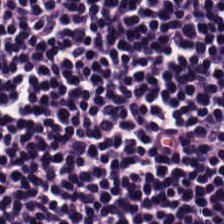Stain: H&E stain.
Tissue type: lymphocytes.
